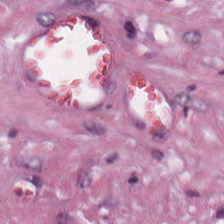Hematoxylin-and-eosin stained section — Q: Classify this patch.
A: The field shows tumor-associated stroma.
